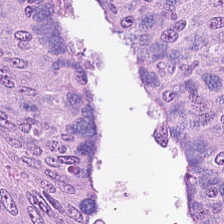Stain: H&E stain.
Predominant tissue: tumor epithelium.
